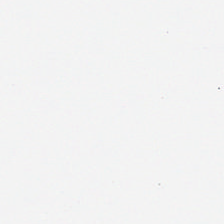H&E.
Field content = background (no tissue).
